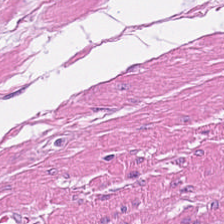Hematoxylin-and-eosin stained section — Impression — smooth-muscle tissue.
